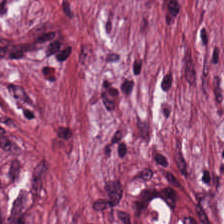Hematoxylin and eosin — Showing cancer-associated stroma.
